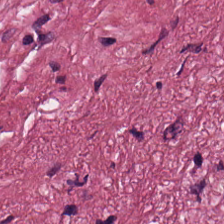224×224 pixel tile; hematoxylin-and-eosin stained section.
This field is desmoplastic stroma.
